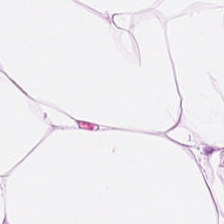H&E.
Adipose tissue.
